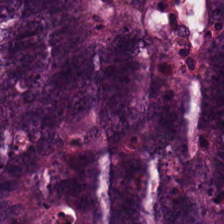H&E-stained tissue section.
The predominant tissue is adenocarcinoma.
